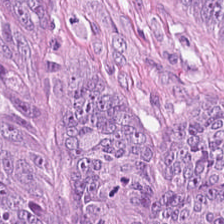Q: What type of tissue is this?
A: This is colorectal adenocarcinoma.
